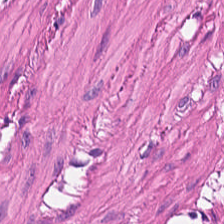Hematoxylin-and-eosin stained section. This patch shows smooth muscle.
